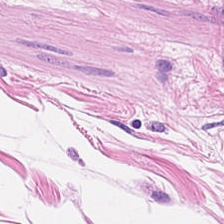Whole-slide-image patch. H&E-stained tissue section — Impression — muscularis.
